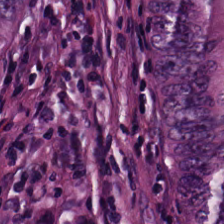H&E · whole-slide-image patch — Q: What tissue is shown?
A: This is colorectal adenocarcinoma.
